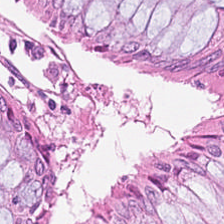H&E-stained section; the field shows normal colonic mucosa.
